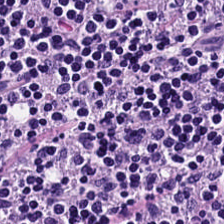Hematoxylin-and-eosin stained section; 224×224 px patch. Tissue = lymphocytic infiltrate.
